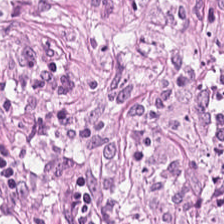H&E stain. Q: What is the predominant tissue type?
A: Desmoplastic stroma.
